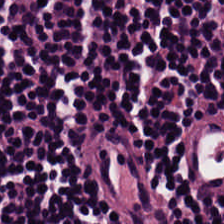Q: What tissue is shown?
A: The field shows lymphocytes.
